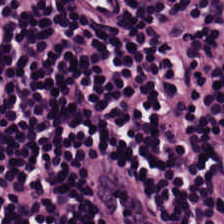H&E stain · 224×224 px tile.
Classification — lymphocytic infiltrate.
